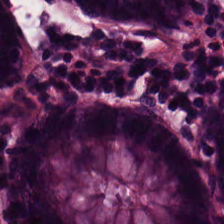Finding — normal colon mucosa.
